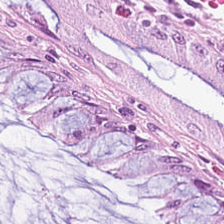H&E. Q: What is shown here?
A: This is non-neoplastic colon mucosa.
